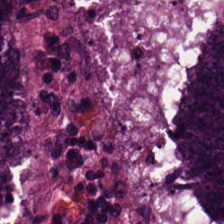Hematoxylin and eosin; formalin-fixed paraffin-embedded section — Showing adenocarcinoma.
